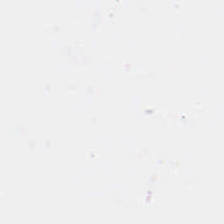H&E. 224×224 px tile. Background — no tissue in this field.
